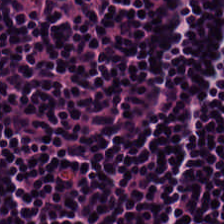H&E — {"tissue_type": "lymphocyte aggregate"}
